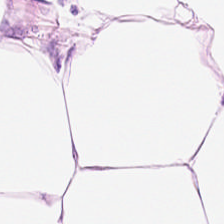Hematoxylin and eosin — This field is adipose tissue.
